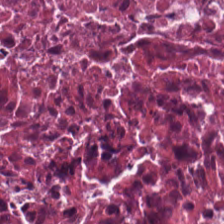Stain: H&E stain.
Preparation: formalin-fixed paraffin-embedded section.
Predominant tissue: necrotic debris.
